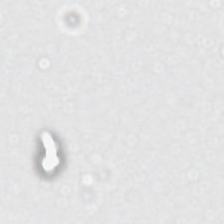H&E-stained tissue section — Classification — background.
